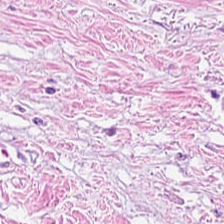FFPE tissue section · H&E stain · 224×224 px patch.
This field is desmoplastic stroma.
